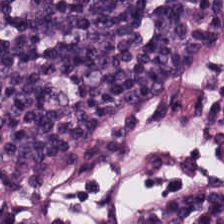224×224 px tile; hematoxylin-and-eosin stained section; FFPE tissue section — Showing lymphocytes.
